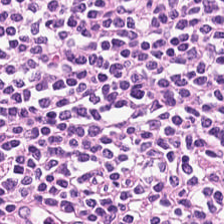Hematoxylin and eosin — Predominant tissue — lymphocytes.
